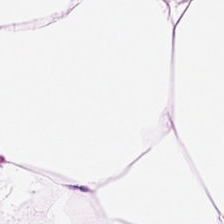Hematoxylin and eosin. The tissue here is adipose.
